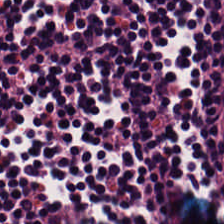Brightfield microscopy. H&E.
The tissue is lymphoid infiltrate.
